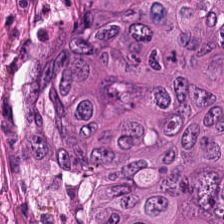{"tissue_type": "colorectal adenocarcinoma epithelium"}
